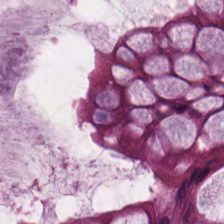H&E stain · formalin-fixed paraffin-embedded section.
The predominant tissue is non-neoplastic colon mucosa.
